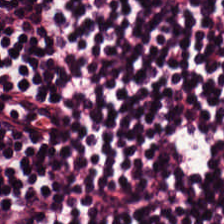Hematoxylin-and-eosin stained section. Brightfield microscopy. 0.5 µm/px.
Q: What tissue is shown?
A: The field shows lymphocyte aggregate.
